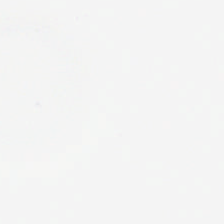H&E stain — Field content: background (no tissue).
